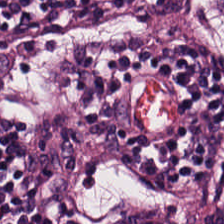The tissue is lymphoid infiltrate.
